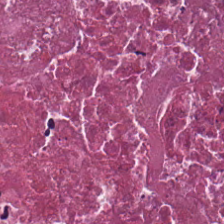Tissue type: debris.
